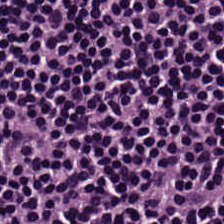Hematoxylin-and-eosin stained section. This patch shows lymphocyte aggregate.
